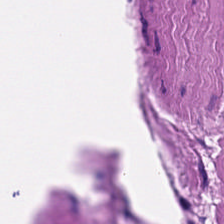H&E — smooth-muscle tissue.
